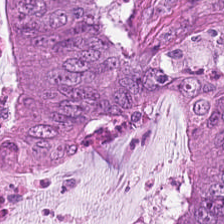Formalin-fixed paraffin-embedded section · H&E — The predominant tissue is tumor epithelium.
